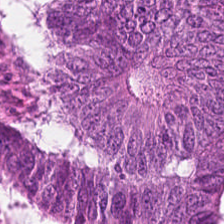Q: What tissue type is shown here?
A: This is colorectal adenocarcinoma.
